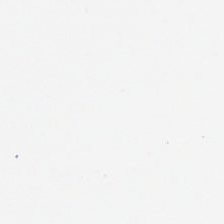This field is background (no tissue).
